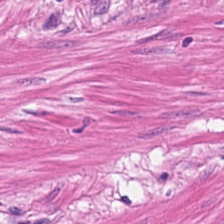Stain: H&E stain.
Predominant tissue: smooth-muscle tissue.
